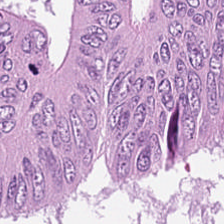Hematoxylin-and-eosin stained section; 224×224 px patch; WSI patch — Tissue class — adenocarcinoma.
